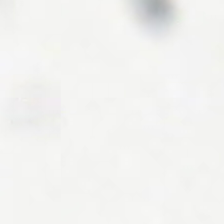Histology → background (no tissue).
